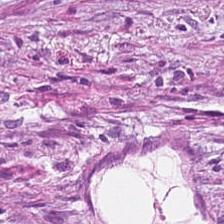Hematoxylin-and-eosin stained section. FFPE. 224×224 pixel tile — Showing desmoplastic stroma.
